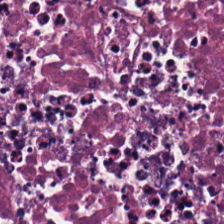H&E-stained tissue section. Brightfield microscopy. 0.5 µm per pixel.
{"tissue_type": "necrotic debris"}
